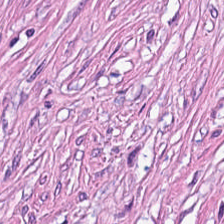{"tissue_type": "desmoplastic stroma"}
